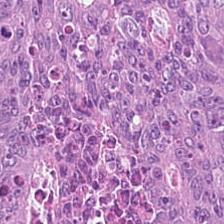H&E-stained tissue section · formalin-fixed paraffin-embedded section. Q: Classify this patch.
A: This is tumor epithelium.
